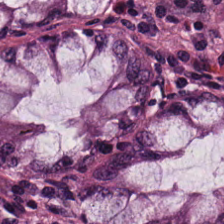Q: What is the predominant tissue type?
A: The field shows normal colon mucosa.
